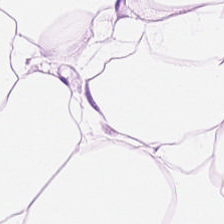H&E — adipose tissue.
